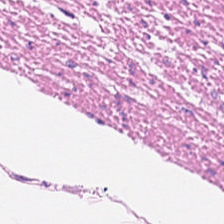FFPE. 224×224 px patch. Hematoxylin-and-eosin stained section. Classification = muscularis.
